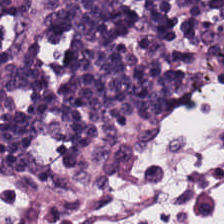Hematoxylin and eosin — {"tissue_type": "lymphocytes"}
